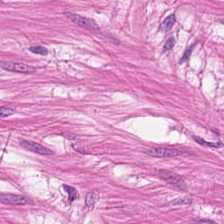Hematoxylin and eosin — Predominantly muscularis.
